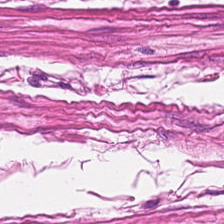0.5 microns per pixel. Hematoxylin-and-eosin stained section. Showing smooth muscle.
